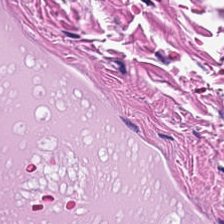H&E — smooth-muscle tissue.
